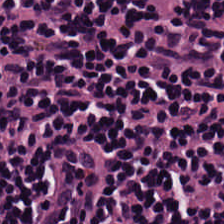H&E-stained tissue section.
Predominant tissue — lymphocytic infiltrate.
